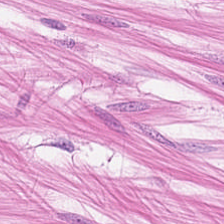0.5 µm/px. Hematoxylin-and-eosin stained section. WSI patch. Q: What is shown here?
A: The field shows smooth-muscle tissue.
